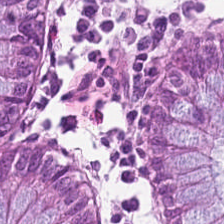Q: Identify the tissue.
A: It is normal colon mucosa.
